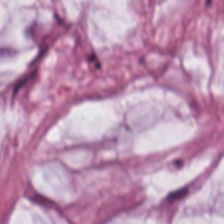Stain: hematoxylin-and-eosin stained section.
Tissue: mucus.
